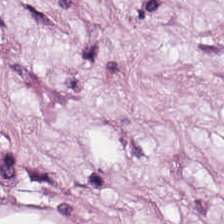FFPE tissue section. H&E.
Showing fat tissue.
